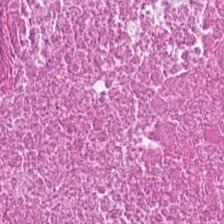Hematoxylin and eosin — Q: What is shown here?
A: This is cellular debris.
